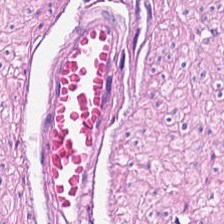Showing smooth muscle.
